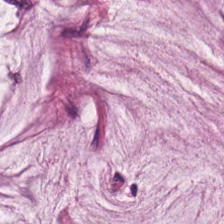20× equivalent magnification · H&E · 224×224 pixel tile. Tissue: mucin.
